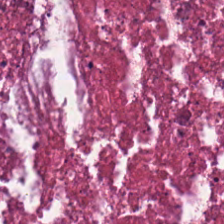H&E-stained section; the field shows necrotic debris.
